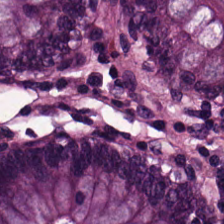FFPE · H&E-stained tissue section — Tissue type: normal colon mucosa.
